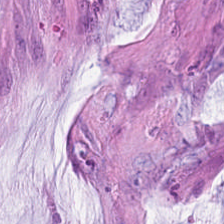Tissue class: extracellular mucin.
